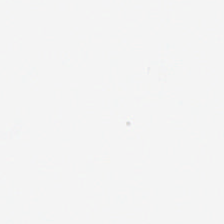Brightfield; H&E stain — Empty field — no tissue.
